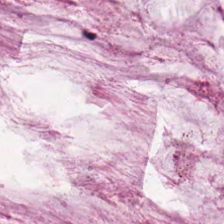H&E-stained tissue section. Tissue = mucin.
